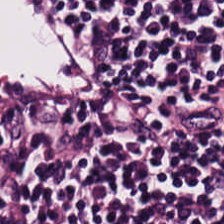H&E stain; 0.5 microns per pixel. Classification: lymphoid infiltrate.
